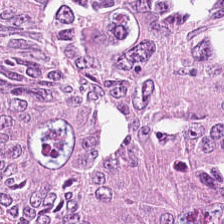Tissue = adenocarcinoma.
